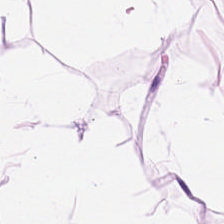H&E — Adipose.
